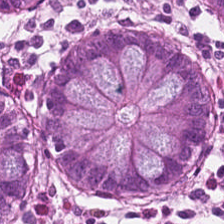H&E. Formalin-fixed paraffin-embedded section — Classification = non-neoplastic colon mucosa.
